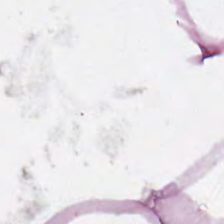0.5 microns per pixel. Brightfield microscopy. H&E-stained tissue section.
This patch shows adipocytes.
